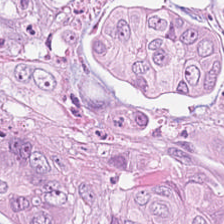224×224 px patch; H&E-stained tissue section; FFPE — The predominant tissue is adenocarcinoma.
